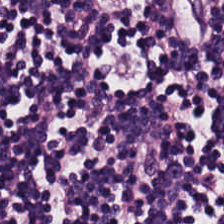The tissue class is lymphocytes.
